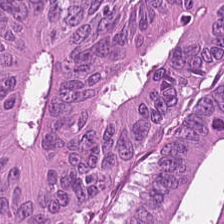Hematoxylin and eosin.
{"tissue_type": "malignant epithelium"}
